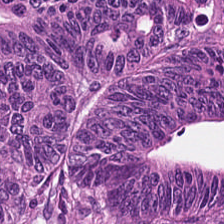H&E-stained tissue section — Adenocarcinoma.
